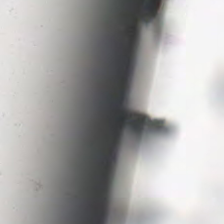224×224 px tile. Hematoxylin-and-eosin stained section.
Classification: no tissue.
